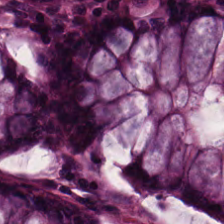Brightfield. H&E-stained tissue section. Non-neoplastic colon mucosa.
